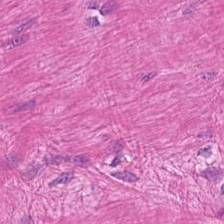224×224 px patch. H&E stain.
Tissue class: smooth-muscle tissue.
